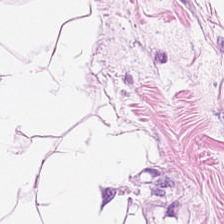H&E. 224×224 px tile — This field is adipose tissue.
